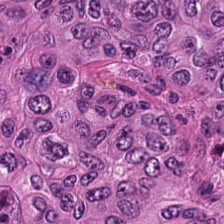H&E stain — Histology → malignant epithelium.
